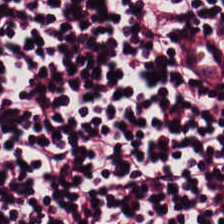Whole-slide-image patch · FFPE · hematoxylin-and-eosin stained section. Lymphocytes.
